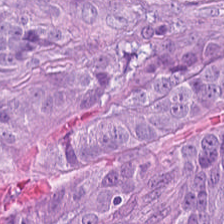FFPE · H&E-stained tissue section.
Q: Identify the tissue.
A: This is adenocarcinoma.
